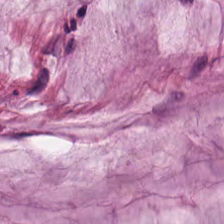Stain: H&E.
Classification: extracellular mucin.
